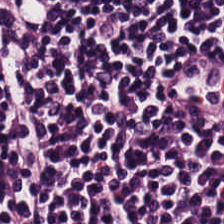Tissue type — lymphocytes.
